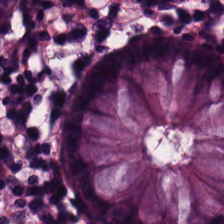H&E; 224×224 pixel tile.
The tissue here is non-neoplastic colon mucosa.
